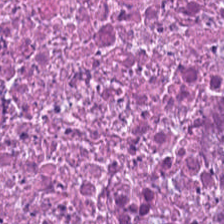20× equivalent magnification. H&E-stained tissue section. FFPE tissue section — Predominantly debris.
